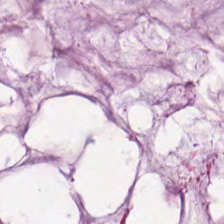Hematoxylin-and-eosin stained section — Mucus.
